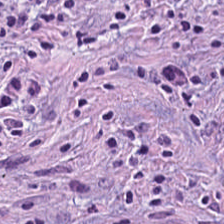Hematoxylin-and-eosin stained section.
Q: What does this patch show?
A: This is tumor-associated stroma.
